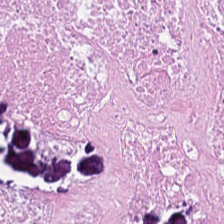Hematoxylin-and-eosin stained section. Histology → necrotic debris.
